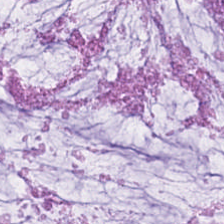The tissue is mucus.
